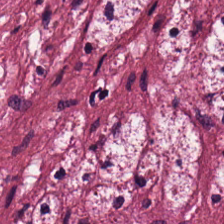224×224 pixel tile · hematoxylin and eosin. This field is tumor-associated stroma.
